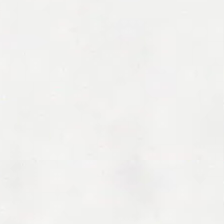No tissue present; background only.
